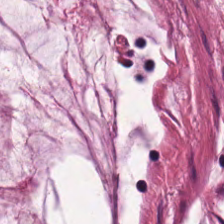Impression — mucus.
